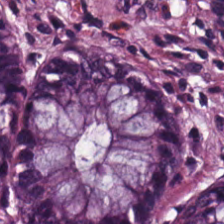0.5 µm/px; H&E stain. Q: What does this patch show?
A: The field shows benign colonic mucosa.
